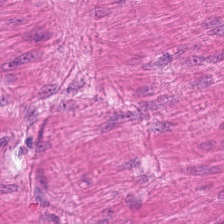FFPE tissue section. Hematoxylin-and-eosin stained section.
The tissue here is smooth muscle.
